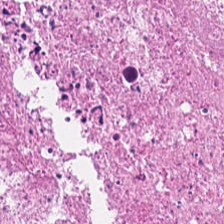Hematoxylin-and-eosin stained section.
Showing necrotic debris.
